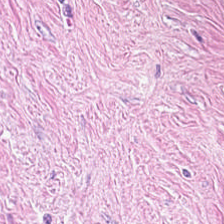This field is desmoplastic stroma.
